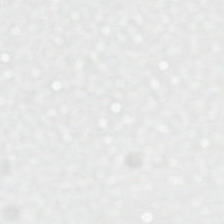224×224 px patch. Brightfield microscopy. H&E-stained tissue section — Q: What is shown in this field?
A: This is background (no tissue).
